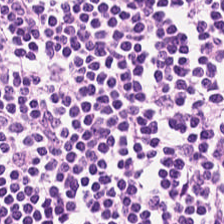Hematoxylin-and-eosin stained section. This field is lymphocytes.
